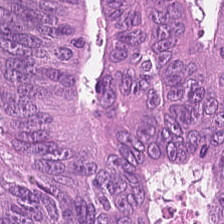Stain: hematoxylin-and-eosin stained section.
Predominant tissue: tumor epithelium.
